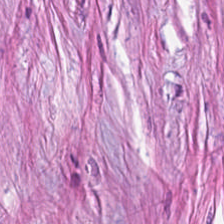H&E stain.
Q: What is the predominant tissue type?
A: Tumor stroma.
